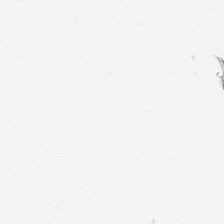H&E-stained tissue section; 224×224 pixel tile.
This patch shows empty background.
